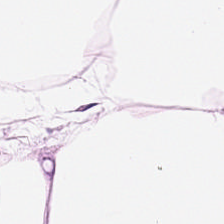Hematoxylin-and-eosin stained section. Brightfield.
Impression → adipose.
